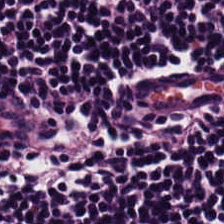This field is lymphocytic infiltrate.
